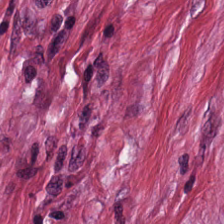Predominant tissue = desmoplastic stroma.
